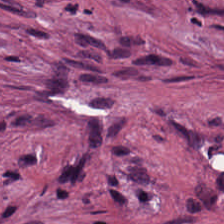H&E stain.
Classification — cancer-associated stroma.
